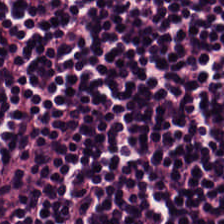WSI patch · H&E-stained tissue section · FFPE — Q: What tissue is shown?
A: This is lymphocytic infiltrate.
